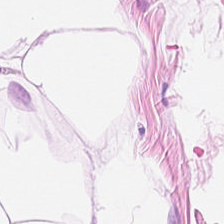H&E stain; 224×224 pixel tile. This field is adipose tissue.
